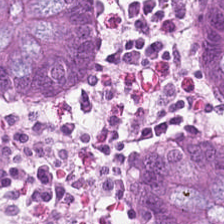Impression — benign colonic mucosa.
